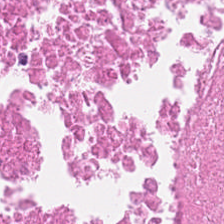Hematoxylin and eosin.
The predominant tissue is necrotic debris.
